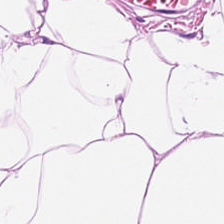224×224 pixel tile. H&E stain — Q: What tissue is shown?
A: This is adipocytes.
